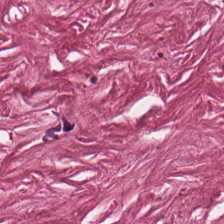0.5 microns per pixel; H&E stain. Showing tumor stroma.
